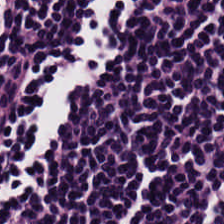Whole-slide-image patch · H&E-stained tissue section · formalin-fixed paraffin-embedded section. Q: What is shown here?
A: The field shows lymphocytic infiltrate.
